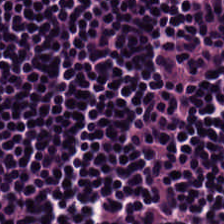H&E · 224×224 px patch · 20× equivalent magnification. The classification is lymphocyte aggregate.
